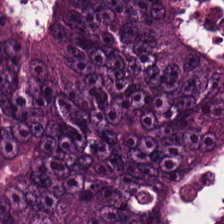Stain: H&E.
Resolution: 0.5 microns per pixel.
Classification: colorectal adenocarcinoma.
